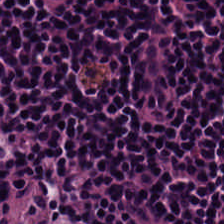Q: What is shown in this field?
A: This is lymphocyte aggregate.
